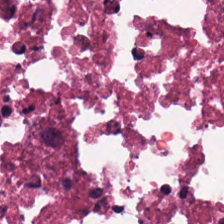Stain: H&E.
Classification: debris.
